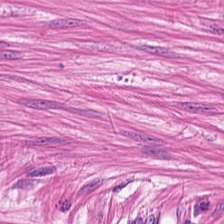This field is smooth muscle.
